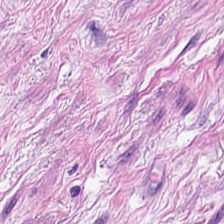Hematoxylin-and-eosin stained section. WSI patch. 0.5 microns per pixel. Muscularis.
